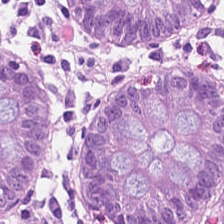H&E. 0.5 µm per pixel. The tissue here is non-neoplastic colon mucosa.
